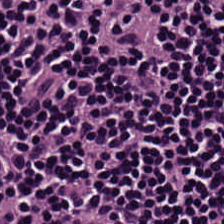224×224 pixel tile · whole-slide-image patch · H&E.
Impression — lymphocytic infiltrate.
